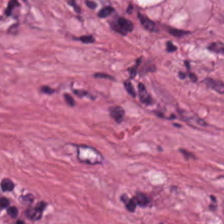Hematoxylin and eosin.
This patch shows tumor stroma.
